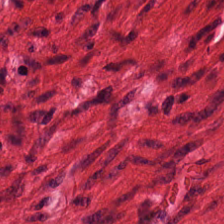Tissue type — smooth muscle.
